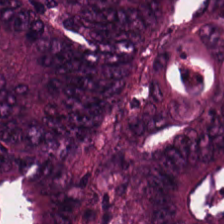Stain: H&E-stained tissue section.
Classification: colorectal adenocarcinoma.
